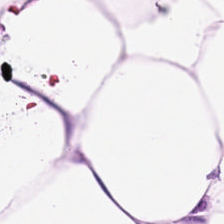Q: Classify this patch.
A: It is adipose tissue.
